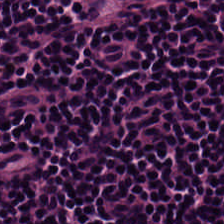Brightfield microscopy. Hematoxylin-and-eosin stained section. Predominant tissue: lymphocyte aggregate.
